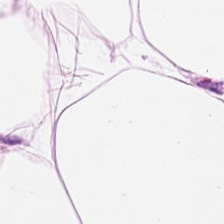FFPE. H&E-stained tissue section. WSI patch.
This patch shows adipocytes.
